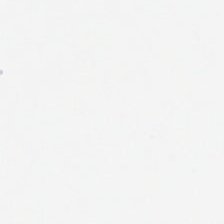Stain: H&E stain.
Classification: background.
